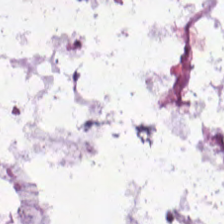Stain: H&E stain.
Tissue type: mucus.
